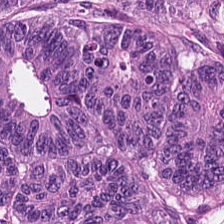Stain: hematoxylin and eosin.
Acquisition: brightfield microscopy.
Tissue class: malignant epithelium.
